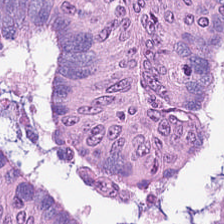This patch shows adenocarcinoma.
